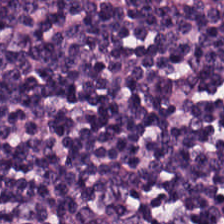Tissue = lymphoid infiltrate.
